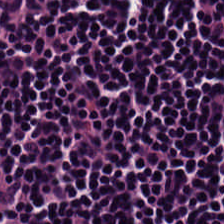Lymphocytic infiltrate.
